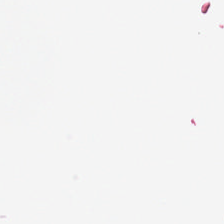Formalin-fixed paraffin-embedded section · H&E stain.
Empty field — background.
